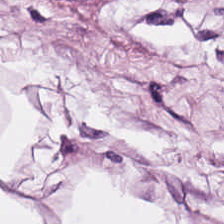0.5 µm per pixel · hematoxylin-and-eosin stained section — This patch shows adipose.
